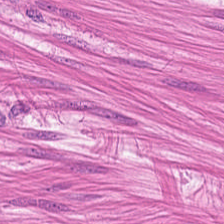H&E-stained tissue section. Classification = smooth muscle.
